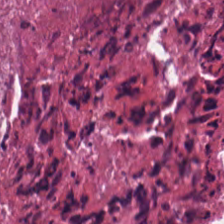H&E — cellular debris.
